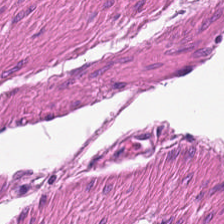Hematoxylin-and-eosin stained section.
Tissue — smooth-muscle tissue.
